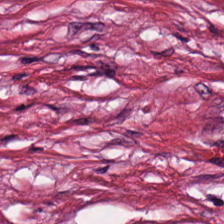224×224 pixel tile. H&E-stained tissue section — Cancer-associated stroma.
